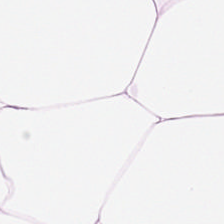Hematoxylin-and-eosin stained section.
The tissue here is adipocytes.
